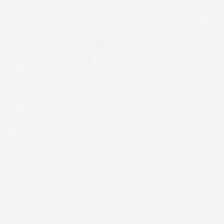Hematoxylin-and-eosin stained section — Empty field — no tissue.
